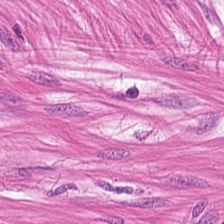Predominantly smooth-muscle tissue.
